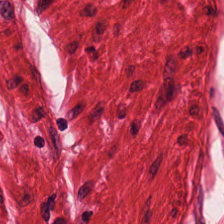Whole-slide-image patch; H&E-stained tissue section.
Muscularis.
